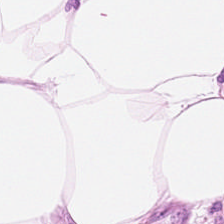H&E stain. Tissue — adipose tissue.
